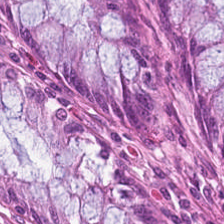H&E stain. This field is benign colonic mucosa.
